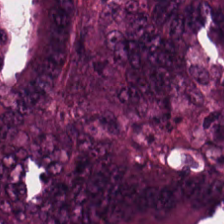Brightfield microscopy. Hematoxylin and eosin — Q: What is shown here?
A: The field shows tumor epithelium.
